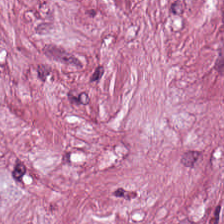{"tissue_type": "cancer-associated stroma"}
